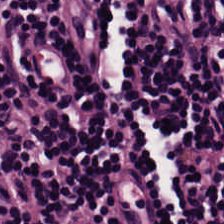H&E stain. The tissue here is lymphocytes.
